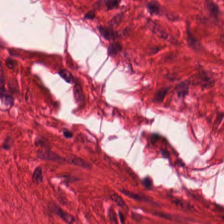Q: What tissue type is shown here?
A: It is muscularis.
